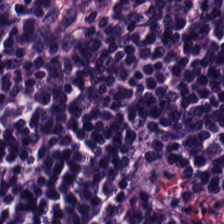Hematoxylin-and-eosin stained section.
This field is lymphocytes.
